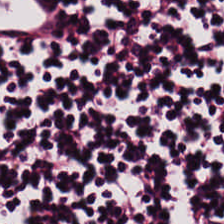H&E-stained tissue section. Predominant tissue — lymphocytes.
